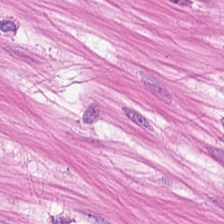Impression — muscularis.
